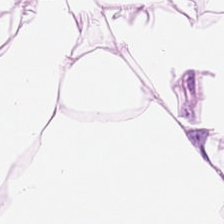Brightfield; H&E stain.
Predominant tissue — adipose.
